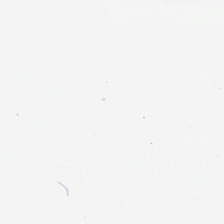Stain: H&E.
Content: background.
